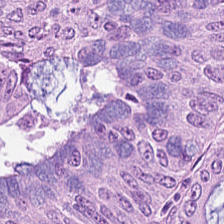20× equivalent magnification. H&E. Brightfield microscopy.
Finding — colorectal adenocarcinoma.
